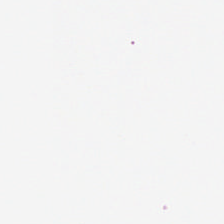H&E-stained tissue section.
Q: Classify this patch.
A: This is empty background.
